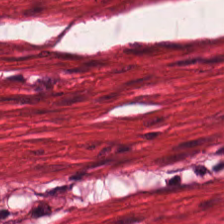Hematoxylin-and-eosin section: muscularis.
